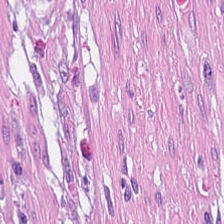Hematoxylin and eosin. Cancer-associated stroma.
